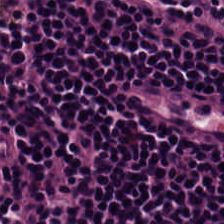Finding → lymphocyte aggregate.
